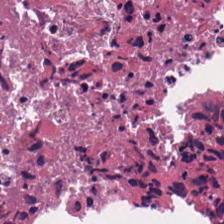H&E. The tissue here is debris.
